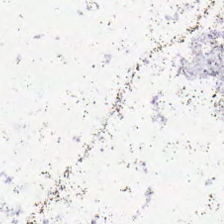H&E-stained tissue section. Brightfield microscopy — Field content = background (no tissue).
